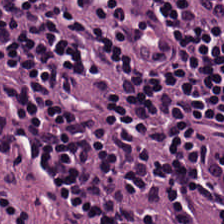H&E-stained tissue section. Whole-slide-image patch — Tissue type — lymphocytes.
